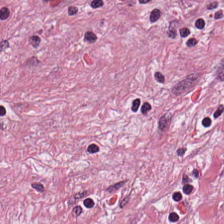FFPE tissue section; H&E; 224×224 px patch. The predominant tissue is tumor-associated stroma.
